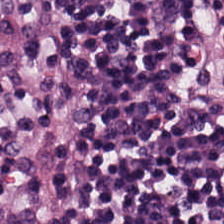Lymphocytic infiltrate.
